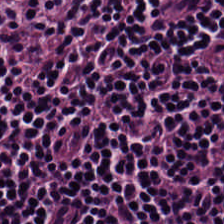Showing lymphoid infiltrate.
